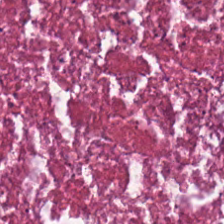Necrotic debris.
